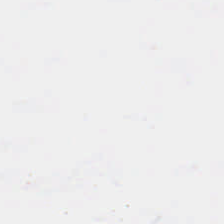Brightfield microscopy · hematoxylin and eosin.
No tissue.
